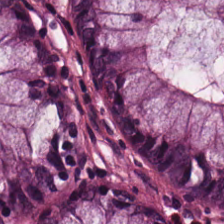Formalin-fixed paraffin-embedded section · hematoxylin-and-eosin stained section. The tissue here is normal colon mucosa.
